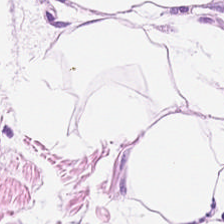H&E-stained tissue section — Q: What tissue type is shown here?
A: The field shows adipose tissue.
